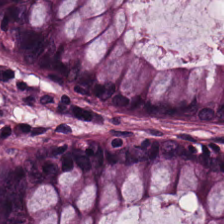Histology — non-neoplastic colon mucosa.
